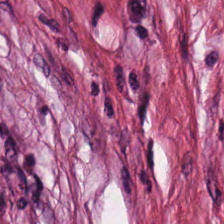The tissue is tumor stroma.
